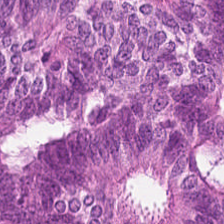H&E — Predominant tissue = malignant epithelium.
